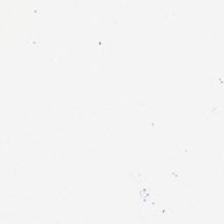{"content": "empty background"}
